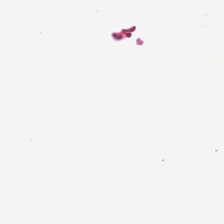Q: What is shown here?
A: This is background.
